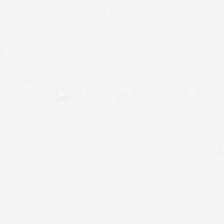Hematoxylin and eosin — {"content": "background (no tissue)"}
